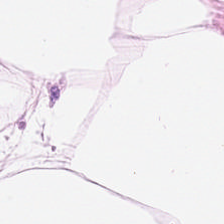H&E · brightfield · FFPE. Q: What is shown in this field?
A: It is adipocytes.
